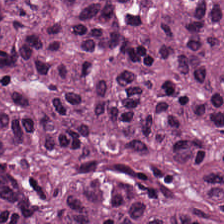The tissue here is adenocarcinoma.
